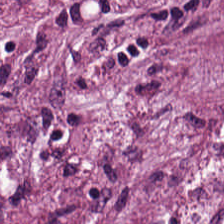0.5 microns per pixel · H&E stain.
Tissue class: cancer-associated stroma.
